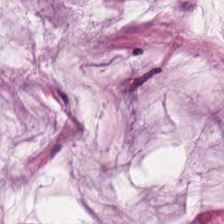The tissue class is mucin.
